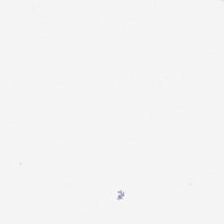224×224 px tile; H&E stain. Content = background (no tissue).
